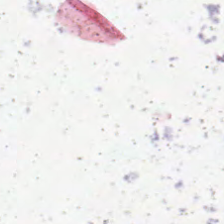H&E; formalin-fixed paraffin-embedded section — Empty field — background (no tissue).
